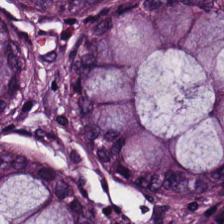{"tissue_type": "benign colonic mucosa"}
